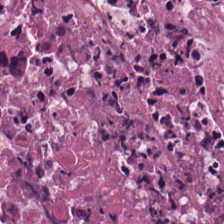WSI patch · H&E-stained tissue section.
Histology → cellular debris.
